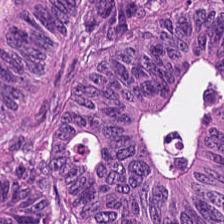224×224 px patch. Hematoxylin and eosin.
Classification — colorectal adenocarcinoma epithelium.
